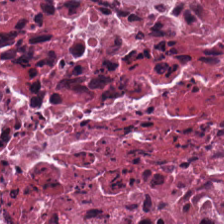H&E.
This patch shows cellular debris.
